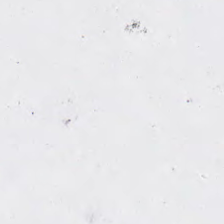Content = background (no tissue).
